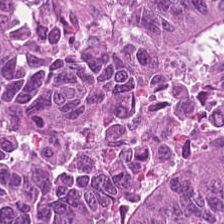Hematoxylin and eosin. 0.5 microns per pixel — Predominantly colorectal adenocarcinoma.
